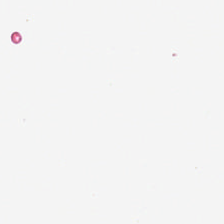H&E-stained tissue section. 224×224 px tile.
Classification: empty background.
